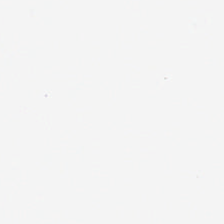224×224 pixel tile. H&E-stained tissue section.
The content is no tissue.
